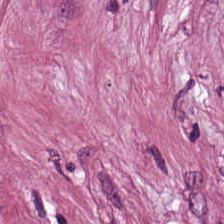Tissue type = tumor stroma.
